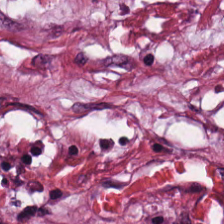H&E.
The tissue type is desmoplastic stroma.
